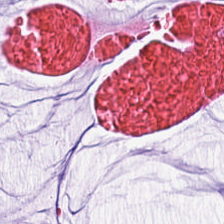Q: What type of tissue is this?
A: Mucus.
